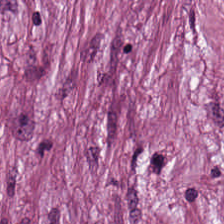WSI patch · hematoxylin-and-eosin stained section. Finding → tumor-associated stroma.
